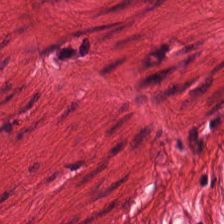H&E-stained tissue section — Q: What is the predominant tissue type?
A: Muscularis.
